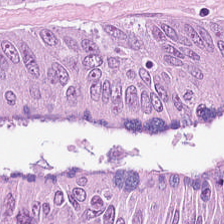Hematoxylin-and-eosin stained section — Showing colorectal adenocarcinoma.
